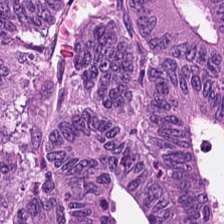Predominant tissue: colorectal adenocarcinoma.
